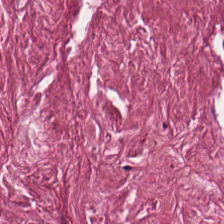Hematoxylin-and-eosin stained section.
Showing cancer-associated stroma.
